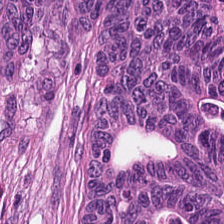The tissue type is tumor epithelium.
